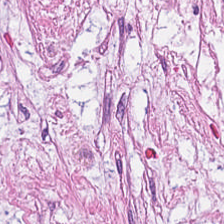Hematoxylin and eosin.
Impression — cancer-associated stroma.
